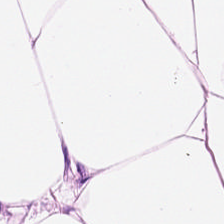Finding — adipose tissue.
